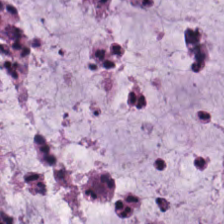Stain: hematoxylin and eosin.
Tile size: 224×224 pixel tile.
Predominant tissue: extracellular mucin.
